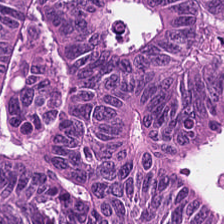Classification — tumor epithelium.
